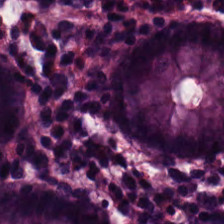Hematoxylin-and-eosin stained section. Histology → normal colonic mucosa.
